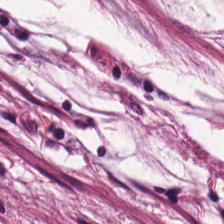0.5 µm/px · FFPE tissue section · H&E stain.
{"tissue_type": "extracellular mucin"}
